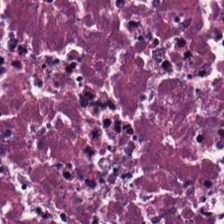224×224 pixel tile. Formalin-fixed paraffin-embedded section. Hematoxylin-and-eosin stained section.
Histology — debris.
